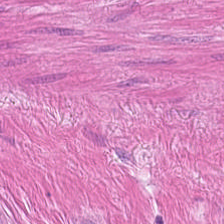Stain: H&E.
Tissue class: smooth muscle.
